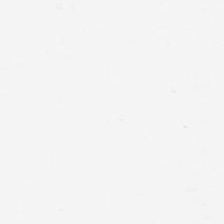Hematoxylin-and-eosin stained section. 224×224 px tile.
Histology — empty background.
